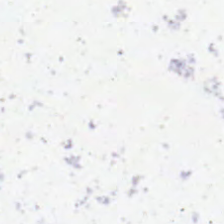Hematoxylin and eosin. Formalin-fixed paraffin-embedded section — This patch shows no tissue.
